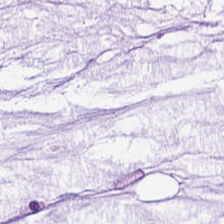The tissue here is extracellular mucin.
